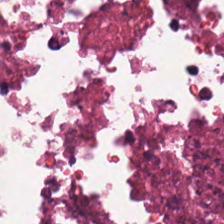Stain: H&E.
Tissue type: necrotic debris.
